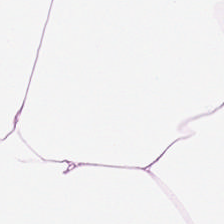Hematoxylin-and-eosin stained section. Q: What is shown in this field?
A: It is adipocytes.
